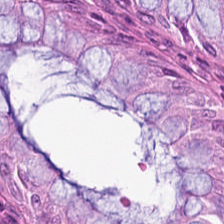Finding → normal colonic mucosa.
